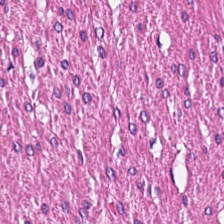Tissue type — muscularis.
